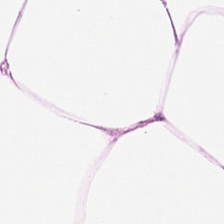Stain: H&E stain.
Resolution: 0.5 microns per pixel.
Preparation: formalin-fixed paraffin-embedded section.
Tissue class: fat tissue.
